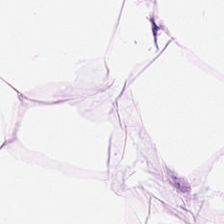224×224 pixel tile · brightfield · H&E. Showing adipose tissue.
